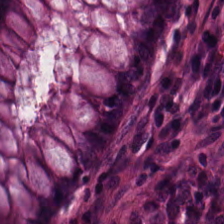Finding → non-neoplastic colon mucosa.
